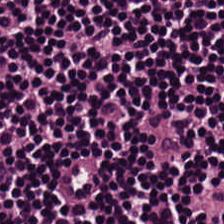Brightfield microscopy · 224×224 pixel tile · hematoxylin and eosin — This field is lymphocytes.
